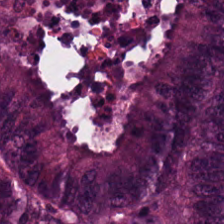224×224 px tile · hematoxylin-and-eosin stained section · whole-slide-image patch. Q: What is shown in this field?
A: It is tumor epithelium.
